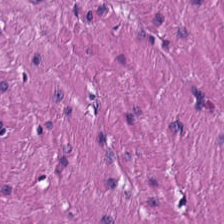H&E-stained tissue section showing muscularis.
